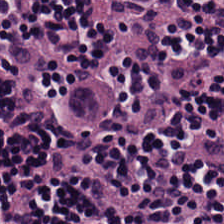H&E — lymphoid infiltrate.
